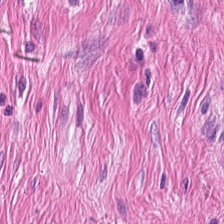Hematoxylin-and-eosin stained section.
Q: What is shown here?
A: The field shows smooth muscle.
